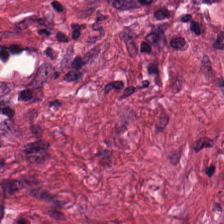H&E.
Tissue type = desmoplastic stroma.
